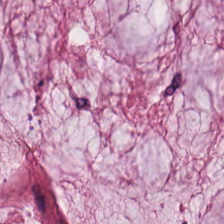Hematoxylin and eosin.
The tissue class is mucin.
